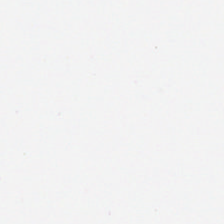H&E — Finding → empty background.
